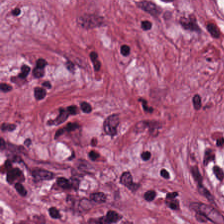The predominant tissue is tumor-associated stroma.
